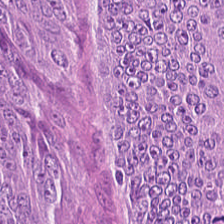H&E-stained tissue section. Tissue type: colorectal adenocarcinoma epithelium.
